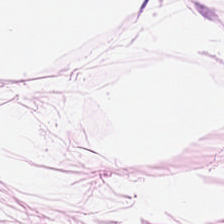Hematoxylin and eosin.
Predominantly adipocytes.
